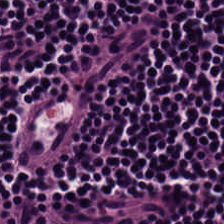The tissue is lymphocytic infiltrate.
